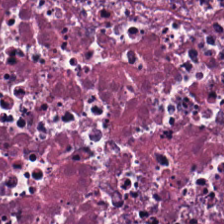224×224 px tile; hematoxylin-and-eosin stained section — Showing necrotic debris.
